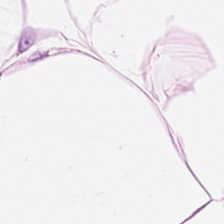Q: Identify the tissue.
A: This is adipose tissue.
